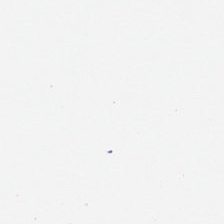H&E-stained tissue section · 224×224 pixel tile.
Background — no tissue in this field.
